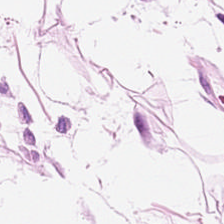224×224 pixel tile; 0.5 µm per pixel; hematoxylin and eosin. This field is adipose tissue.
